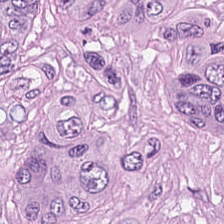224×224 pixel tile; H&E. Classification = colorectal adenocarcinoma epithelium.
